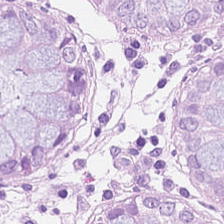H&E-stained tissue section. This field is normal colon mucosa.
